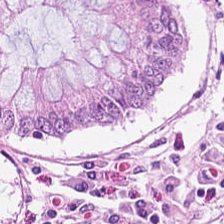H&E-stained tissue section · FFPE. Showing benign colonic mucosa.
